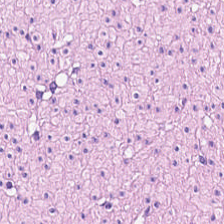Stain: hematoxylin and eosin.
Predominant tissue: smooth muscle.
